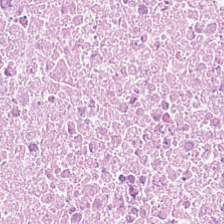Hematoxylin-and-eosin stained section.
Tissue type = debris.
